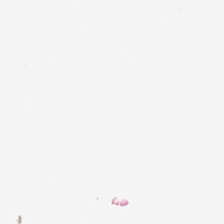Stain: H&E-stained tissue section.
Classification: no tissue.
